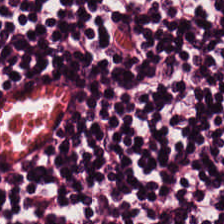H&E-stained tissue section. FFPE tissue section. The tissue type is lymphocytes.
